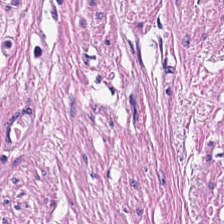Stain: hematoxylin-and-eosin stained section.
Tissue class: smooth muscle.
